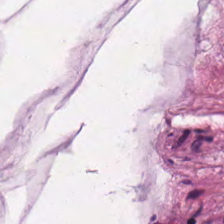Hematoxylin and eosin. Tissue type = mucin.
